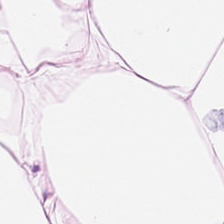Q: What does this patch show?
A: It is adipocytes.
